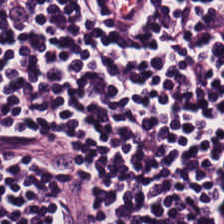H&E stain. This field is lymphoid infiltrate.
